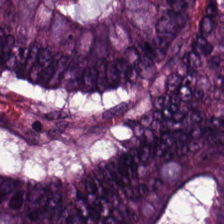Stain: hematoxylin-and-eosin stained section.
Tile size: 224×224 pixel tile.
Tissue: malignant epithelium.
